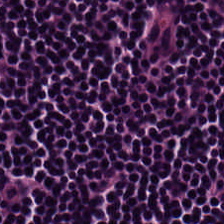Q: What is shown here?
A: It is lymphocyte aggregate.
